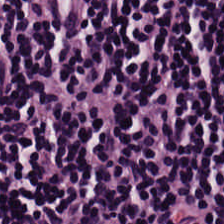Stain: H&E-stained tissue section.
Acquisition: brightfield.
Tile size: 224×224 px patch.
Tissue class: lymphocytes.
